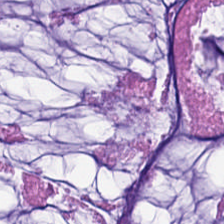Tissue type — mucin.
